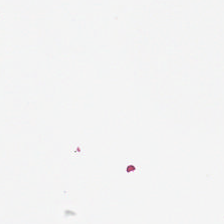Formalin-fixed paraffin-embedded section; hematoxylin-and-eosin stained section. {"content": "background (no tissue)"}
